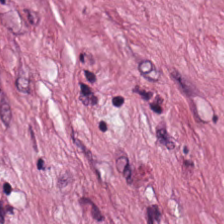Stain: H&E-stained tissue section.
Acquisition: brightfield microscopy.
Predominant tissue: tumor stroma.
